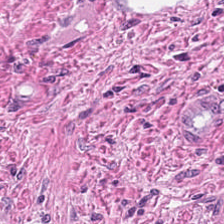20× equivalent magnification; H&E; 224×224 px patch — Predominantly tumor-associated stroma.
